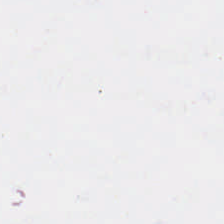Q: Classify this patch.
A: The field shows background.
